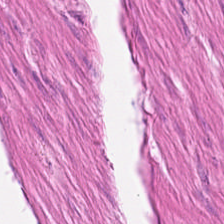Hematoxylin and eosin. This patch shows smooth-muscle tissue.
